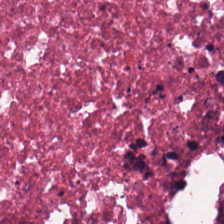Hematoxylin and eosin · FFPE. Impression → debris.
